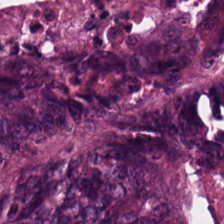20× equivalent magnification · hematoxylin-and-eosin stained section.
Tissue class: colorectal adenocarcinoma.
